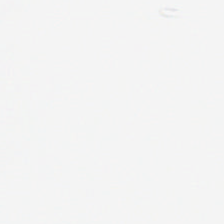Hematoxylin-and-eosin stained section; WSI patch.
Finding → background (no tissue).
